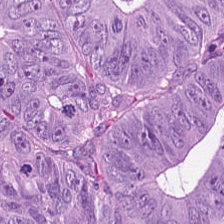H&E.
Q: What does this patch show?
A: The field shows tumor epithelium.
